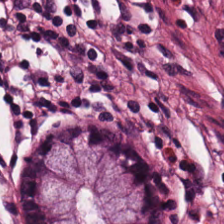Q: What tissue is shown?
A: It is non-neoplastic colon mucosa.
